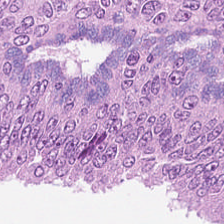Tissue class = colorectal adenocarcinoma.
